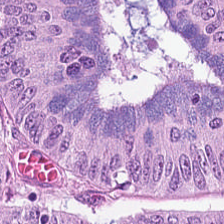H&E. 224×224 px tile.
Colorectal adenocarcinoma epithelium.
